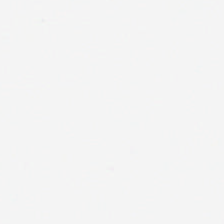This patch shows no tissue.
